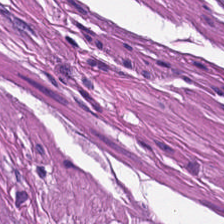Hematoxylin-and-eosin stained section. 20× equivalent magnification.
This patch shows smooth muscle.
